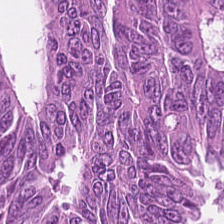224×224 pixel tile. H&E.
Colorectal adenocarcinoma epithelium.
